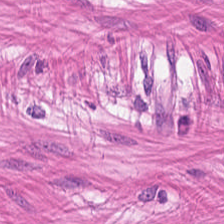FFPE · 0.5 µm/px · H&E — Tissue — smooth muscle.
